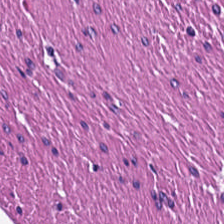224×224 px tile; brightfield microscopy; hematoxylin and eosin.
Classification — smooth-muscle tissue.
